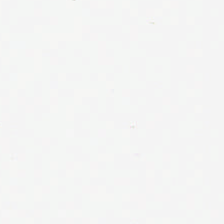Formalin-fixed paraffin-embedded section; H&E; brightfield microscopy. Q: Classify this patch.
A: No tissue.
